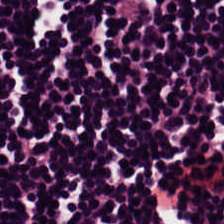FFPE tissue section; hematoxylin-and-eosin stained section. Q: What does this patch show?
A: Lymphocytes.
